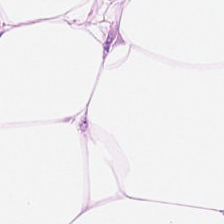H&E-stained tissue section. Tissue type — adipose.
